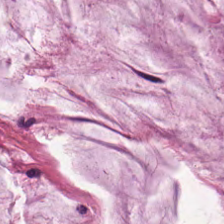Stain: H&E.
Tissue: extracellular mucin.
